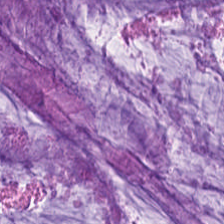Stain: hematoxylin-and-eosin stained section.
Resolution: 20× equivalent magnification.
Tissue: mucin.
